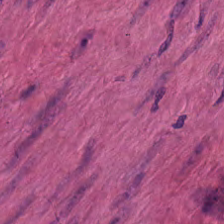Classification — smooth-muscle tissue.
